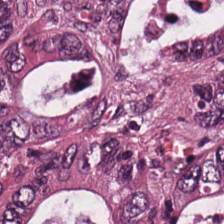H&E — Predominantly adenocarcinoma.
